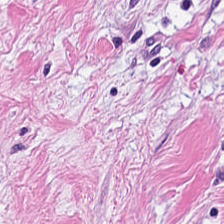H&E — Tissue: tumor-associated stroma.
